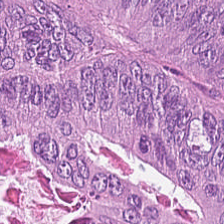Q: What tissue type is shown here?
A: The field shows colorectal adenocarcinoma.
